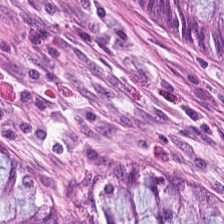H&E-stained tissue section · 224×224 px patch — This patch shows non-neoplastic colon mucosa.
